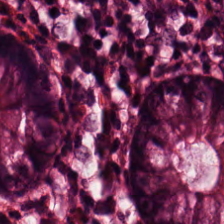Q: What does this patch show?
A: This is normal colon mucosa.
